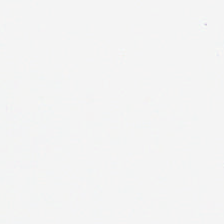Hematoxylin and eosin — Background — no tissue in this field.
